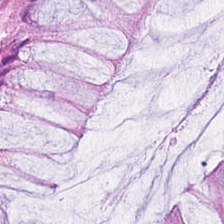The predominant tissue is normal colonic mucosa.
